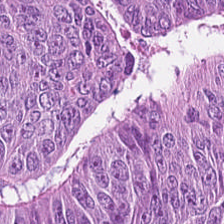H&E. Colorectal adenocarcinoma.
